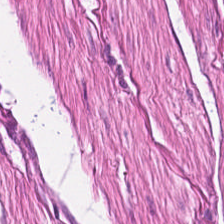224×224 px tile; hematoxylin and eosin.
Q: What is the predominant tissue type?
A: The field shows muscularis.
